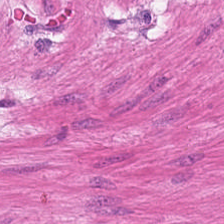H&E-stained tissue section. The tissue here is smooth muscle.
